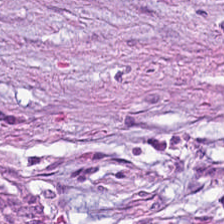224×224 px tile. Hematoxylin and eosin. Whole-slide-image patch.
Impression — tumor stroma.
